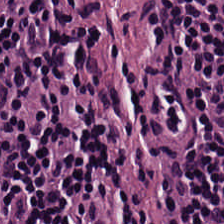Hematoxylin-and-eosin stained section · 224×224 pixel tile. The classification is lymphocytes.
